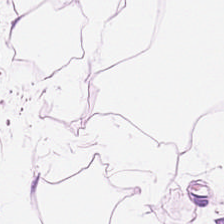H&E. 224×224 pixel tile. Adipose.
